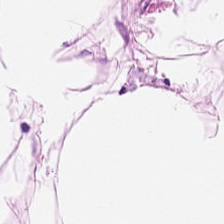Stain: H&E.
Tissue type: adipose tissue.
